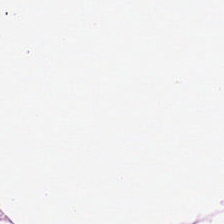H&E-stained tissue section; brightfield. Finding — fat tissue.
